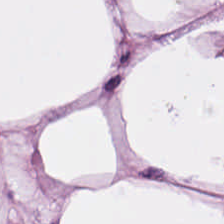H&E-stained tissue section — This field is fat tissue.
